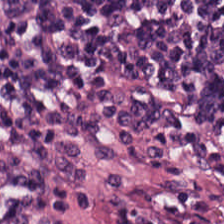H&E-stained tissue section.
Tissue type — lymphocyte aggregate.
